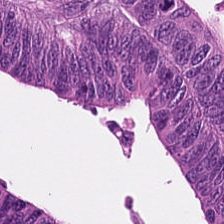H&E — Classification: tumor epithelium.
